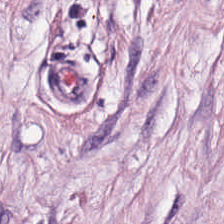Hematoxylin and eosin.
The tissue is desmoplastic stroma.
